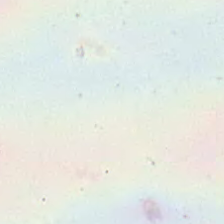224×224 px tile; hematoxylin and eosin — Field content = no tissue.
